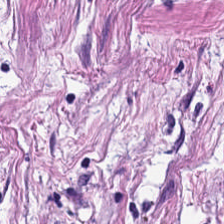Classification — tumor stroma.
